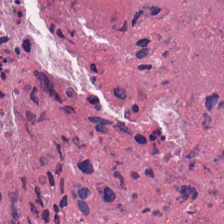H&E patch showing debris.
